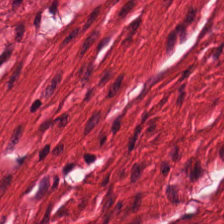Classification = smooth-muscle tissue.
